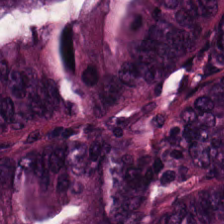Hematoxylin and eosin. Predominantly colorectal adenocarcinoma.
